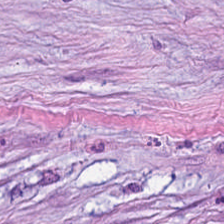This field is desmoplastic stroma.
